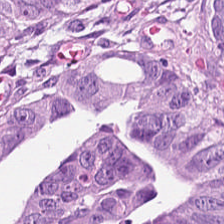Stain: H&E-stained tissue section.
Acquisition: brightfield.
Resolution: 0.5 microns per pixel.
Classification: tumor epithelium.
